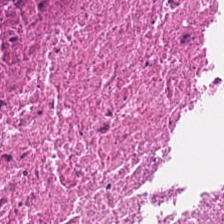Stain: H&E-stained tissue section.
Preparation: FFPE tissue section.
Tile size: 224×224 px patch.
Tissue: cellular debris.
